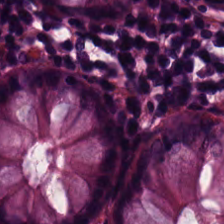Hematoxylin and eosin. Whole-slide-image patch — Q: What is shown in this field?
A: This is normal colon mucosa.
